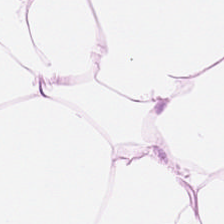224×224 px tile; brightfield microscopy; H&E-stained tissue section.
Q: What tissue is shown?
A: The field shows fat tissue.
